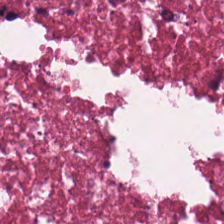H&E-stained section; the field shows cellular debris.
